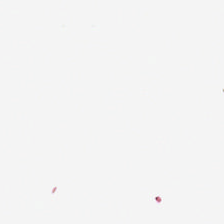H&E-stained tissue section · 0.5 µm/px. This field is background (no tissue).
